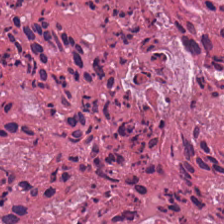Formalin-fixed paraffin-embedded section · H&E-stained tissue section — {"tissue_type": "cellular debris"}
